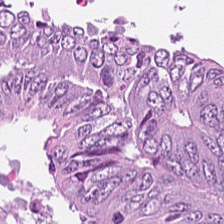Classification = tumor epithelium.
